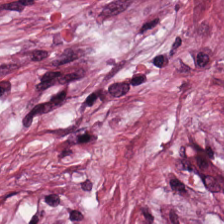224×224 px patch. 20× equivalent magnification. H&E-stained tissue section. {"tissue_type": "cancer-associated stroma"}
